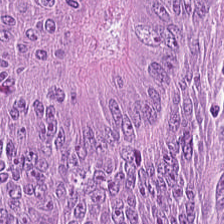Hematoxylin and eosin. Brightfield. FFPE tissue section. Tissue = colorectal adenocarcinoma.
